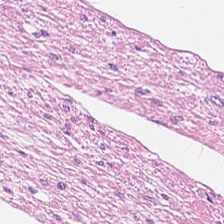Histology — smooth muscle.
